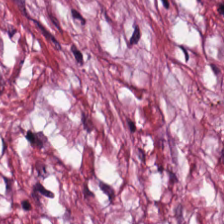Hematoxylin and eosin.
Tumor stroma.
